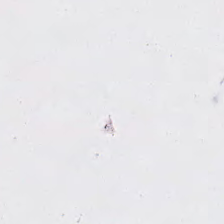Stain: H&E-stained tissue section.
Classification: empty background.
